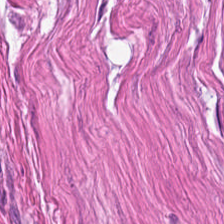Formalin-fixed paraffin-embedded section. 0.5 µm/px. H&E-stained tissue section. Showing smooth muscle.
